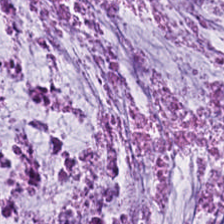Tissue = mucus.
